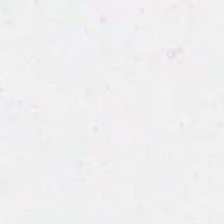Hematoxylin-and-eosin stained section. Q: Classify this patch.
A: It is no tissue.
